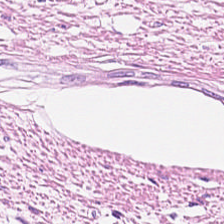Hematoxylin-and-eosin stained section. Histology — smooth-muscle tissue.
